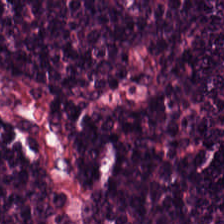Hematoxylin-and-eosin stained section.
The tissue here is lymphocyte aggregate.
